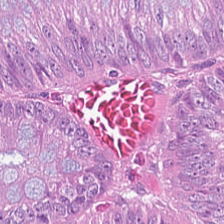Tissue class — colorectal adenocarcinoma.
